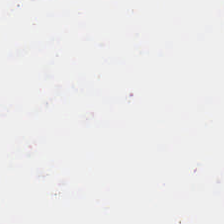H&E; 0.5 µm/px; FFPE — Impression — empty background.
